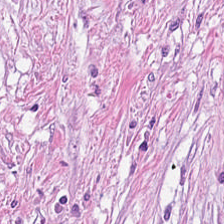Formalin-fixed paraffin-embedded section. 224×224 pixel tile. H&E stain.
Impression → desmoplastic stroma.
